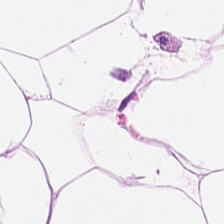H&E.
The predominant tissue is fat tissue.
